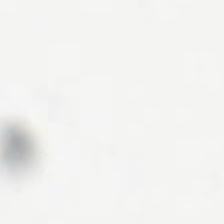FFPE tissue section. H&E stain. 0.5 µm/px. Empty field — background (no tissue).
